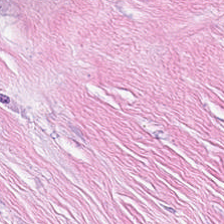Hematoxylin-and-eosin stained section. Predominantly tumor stroma.
